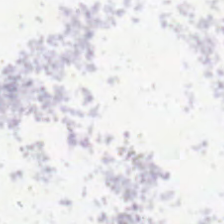H&E.
Background — no tissue in this field.
